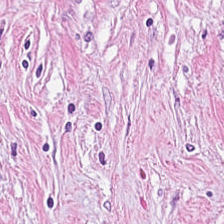Hematoxylin-and-eosin stained section; 20× equivalent magnification. Finding → tumor-associated stroma.
